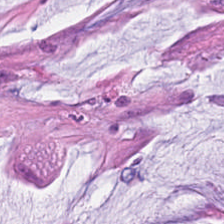Tissue type — mucin.
